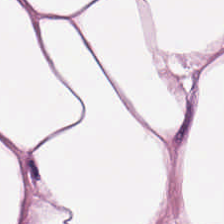Brightfield; hematoxylin and eosin.
Predominant tissue — adipose.
